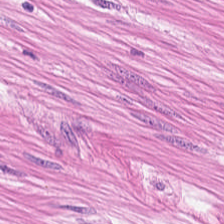Tissue = smooth-muscle tissue.
